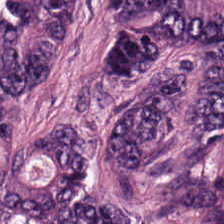H&E stain — Q: What does this patch show?
A: This is malignant epithelium.
